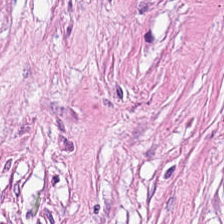Hematoxylin and eosin — Histology — cancer-associated stroma.
